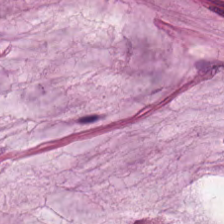Hematoxylin and eosin. 224×224 px tile.
Impression — mucus.
